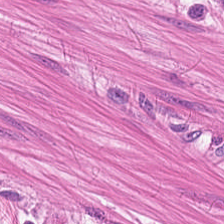H&E · formalin-fixed paraffin-embedded section — This patch shows smooth-muscle tissue.
